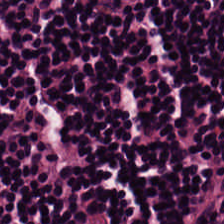H&E stain. Predominantly lymphocytic infiltrate.
